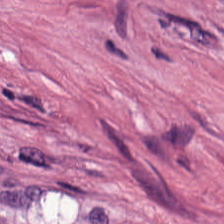Stain: hematoxylin-and-eosin stained section.
Classification: tumor stroma.
